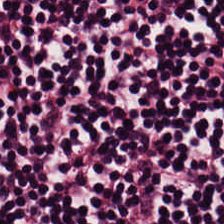Stain: H&E stain.
Classification: lymphoid infiltrate.
